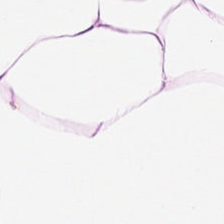224×224 px patch · hematoxylin-and-eosin stained section · FFPE tissue section — Adipose.
